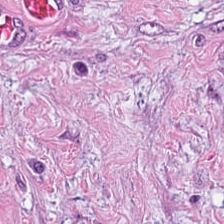0.5 microns per pixel; hematoxylin and eosin. Q: What is shown here?
A: This is cancer-associated stroma.
